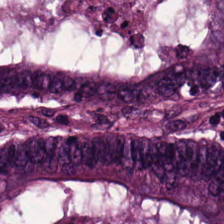Hematoxylin-and-eosin stained section.
Tissue class — colorectal adenocarcinoma epithelium.
